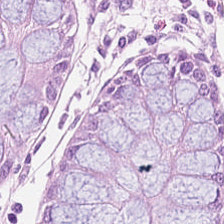Impression — non-neoplastic colon mucosa.
